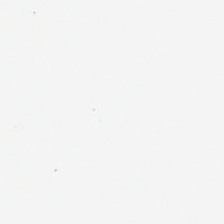The content is no tissue.
